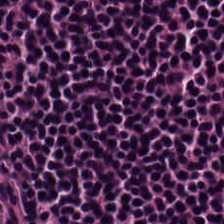Hematoxylin and eosin — This patch shows lymphocyte aggregate.
